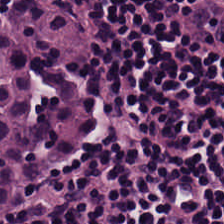FFPE. H&E-stained tissue section.
The tissue type is lymphocytes.
